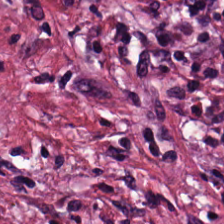Tissue class: cancer-associated stroma.
